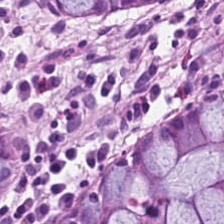Hematoxylin-and-eosin stained section; formalin-fixed paraffin-embedded section.
This field is normal colonic mucosa.
